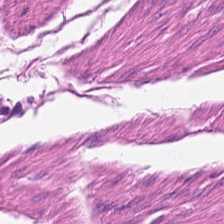Stain: H&E stain.
Classification: smooth muscle.
